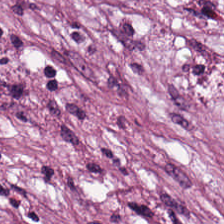Hematoxylin and eosin. Tissue class — desmoplastic stroma.
